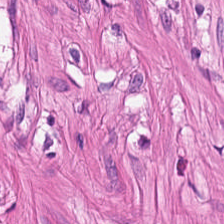Stain: H&E-stained tissue section.
Tissue type: muscularis.
